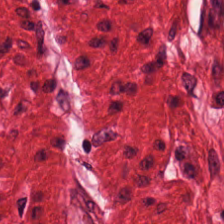20× equivalent magnification · whole-slide-image patch · hematoxylin and eosin.
The predominant tissue is smooth muscle.
